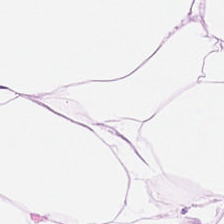Classification — adipose.
